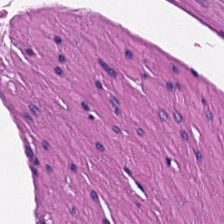Stain: H&E.
Tissue: smooth muscle.
